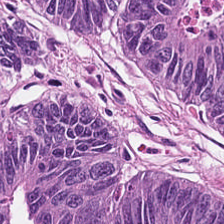H&E-stained tissue section · 224×224 px tile. Showing tumor epithelium.
